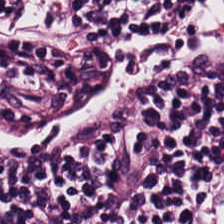Hematoxylin-and-eosin stained section. The tissue is lymphocytic infiltrate.
